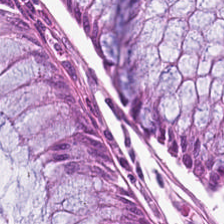H&E. 0.5 µm/px. 224×224 px patch.
Finding → non-neoplastic colon mucosa.
